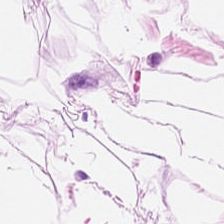Hematoxylin and eosin.
{"tissue_type": "adipose tissue"}
